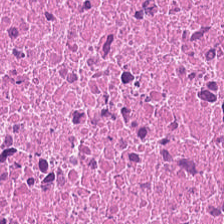Hematoxylin-and-eosin stained section.
Tissue class = necrotic debris.
